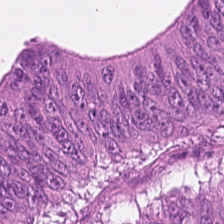H&E-stained tissue section.
The tissue here is tumor epithelium.
